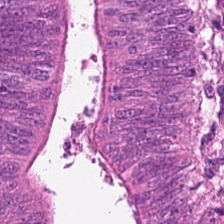H&E-stained tissue section — Showing tumor epithelium.
